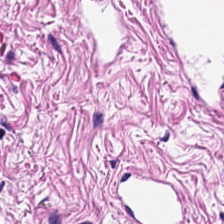Hematoxylin-and-eosin stained section. 0.5 µm/px — Q: What does this patch show?
A: It is smooth muscle.
